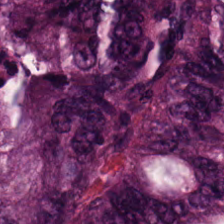The predominant tissue is colorectal adenocarcinoma epithelium.
